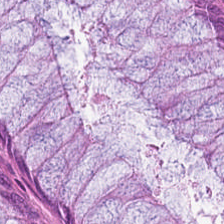H&E-stained tissue section showing normal colon mucosa.
